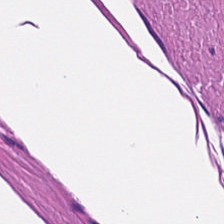H&E stain.
Histology → smooth muscle.
